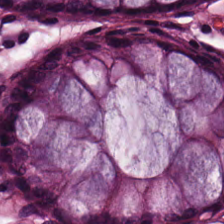H&E patch showing normal colon mucosa.
